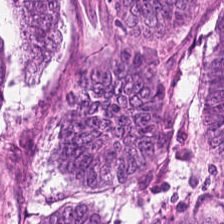H&E-stained tissue section.
Predominant tissue — malignant epithelium.
